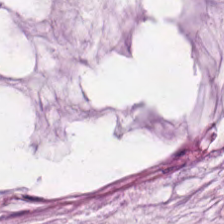H&E stain · 20× equivalent magnification · FFPE tissue section.
Showing extracellular mucin.
